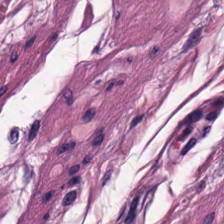Hematoxylin-and-eosin stained section — Tissue type — smooth muscle.
